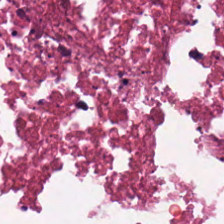Stain: H&E stain.
Tissue type: necrotic debris.
